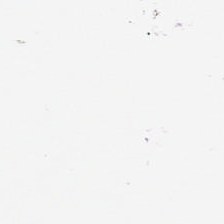Stain: H&E stain.
Tile size: 224×224 px tile.
Field content: background.
